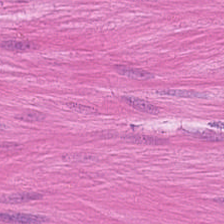H&E stain. Brightfield microscopy — Histology — muscularis.
